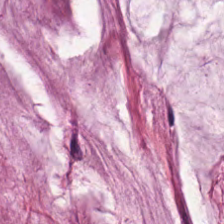Hematoxylin and eosin — Q: What is the predominant tissue type?
A: Extracellular mucin.
